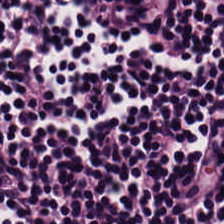H&E-stained tissue section.
{"tissue_type": "lymphocytic infiltrate"}
